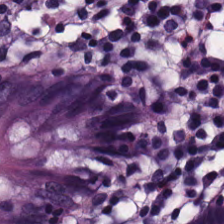H&E — Predominant tissue = normal colonic mucosa.
